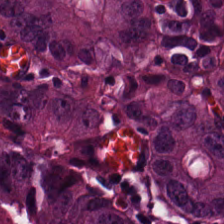Hematoxylin and eosin — This patch shows colorectal adenocarcinoma epithelium.
